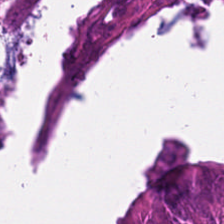0.5 µm per pixel. Hematoxylin-and-eosin stained section — Tissue type = malignant epithelium.
